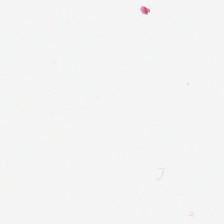H&E-stained tissue section.
This field is background (no tissue).
